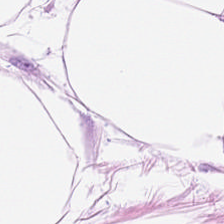H&E-stained tissue section — This patch shows fat tissue.
